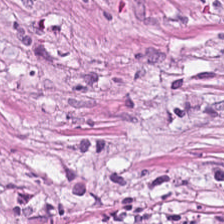Hematoxylin-and-eosin stained section; 0.5 µm per pixel. Finding → cancer-associated stroma.
